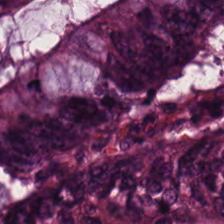H&E.
The predominant tissue is adenocarcinoma.
